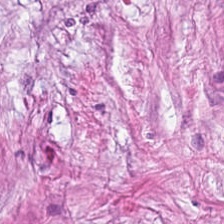{"tissue_type": "cancer-associated stroma"}
